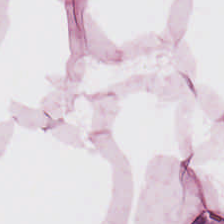WSI patch; H&E-stained tissue section — Q: What is shown in this field?
A: Adipocytes.
